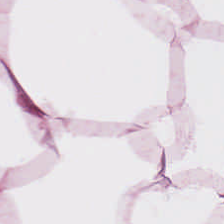Stain: H&E.
Classification: adipose.
